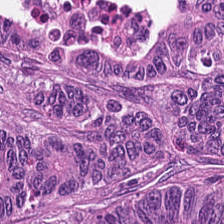H&E-stained tissue section — The predominant tissue is malignant epithelium.
